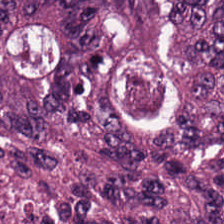Q: What tissue is shown?
A: Colorectal adenocarcinoma epithelium.
